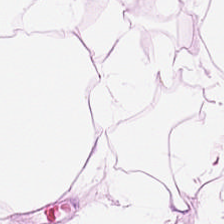Hematoxylin-and-eosin stained section. 0.5 µm per pixel. Formalin-fixed paraffin-embedded section.
Histology → adipocytes.
